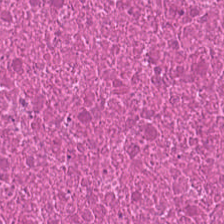Hematoxylin and eosin. FFPE tissue section — Predominant tissue — debris.
